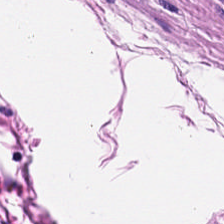Impression → muscularis.
